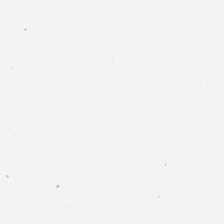The field content is background (no tissue).
